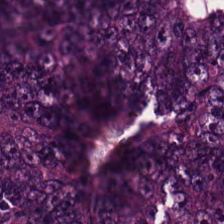Hematoxylin and eosin — The tissue class is tumor epithelium.
